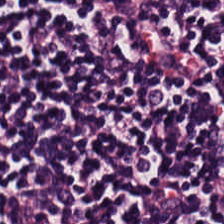Stain: H&E.
Tissue type: lymphocyte aggregate.
